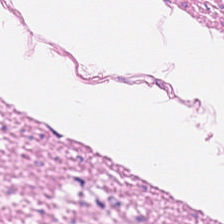The tissue class is smooth muscle.
